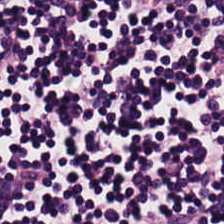H&E stain — Finding — lymphocyte aggregate.
